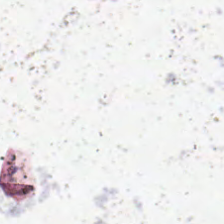Hematoxylin and eosin.
Q: What is shown here?
A: No tissue.
